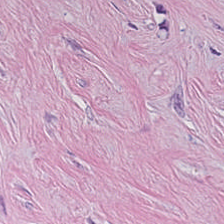H&E-stained tissue section.
Histology — tumor-associated stroma.
